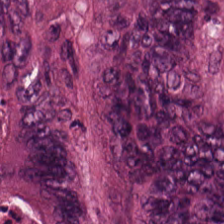H&E — This patch shows colorectal adenocarcinoma.
